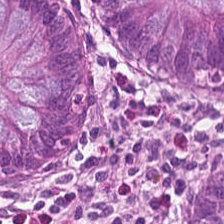WSI patch. Hematoxylin-and-eosin stained section.
This field is normal colon mucosa.
